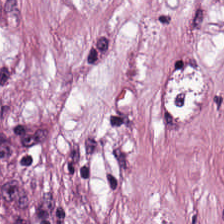Hematoxylin-and-eosin stained section. Tumor stroma.
